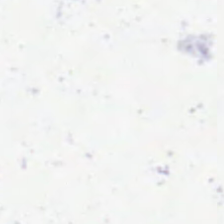H&E-stained tissue section. Field content = empty background.
